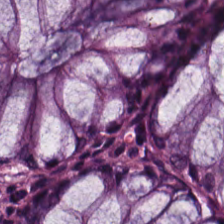H&E stain.
Normal colon mucosa.
